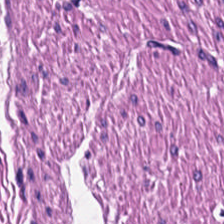H&E stain · formalin-fixed paraffin-embedded section · brightfield — This field is smooth-muscle tissue.
